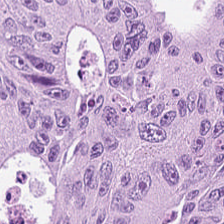0.5 µm per pixel. Hematoxylin and eosin.
This field is colorectal adenocarcinoma.
